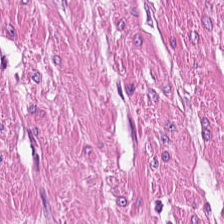This patch shows smooth-muscle tissue.
